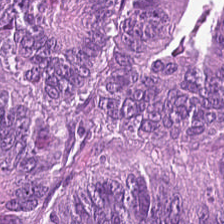H&E. 20× equivalent magnification. Q: What tissue is shown?
A: It is colorectal adenocarcinoma epithelium.
